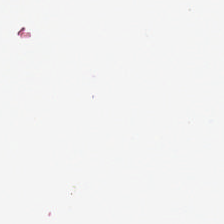Hematoxylin and eosin.
This field is background (no tissue).
